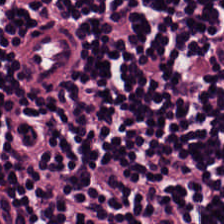H&E-stained tissue section showing lymphocytic infiltrate.
